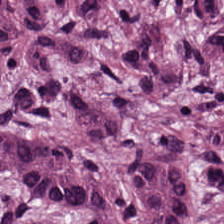Impression → colorectal adenocarcinoma epithelium.
